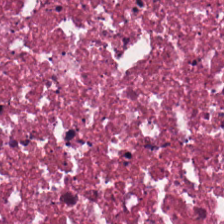H&E-stained tissue section — Q: Classify this patch.
A: Cellular debris.
